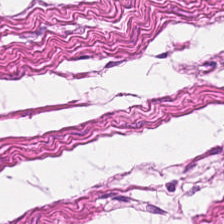Stain: H&E-stained tissue section.
Tissue type: muscularis.
